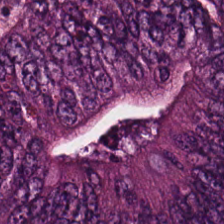Classification: colorectal adenocarcinoma epithelium.
